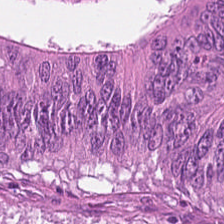H&E stain — Q: What is shown in this field?
A: This is malignant epithelium.
